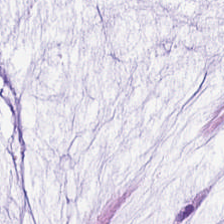H&E-stained tissue section showing extracellular mucin.
